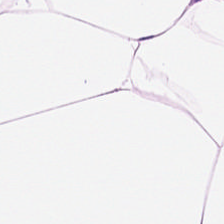{"tissue_type": "adipose tissue"}
